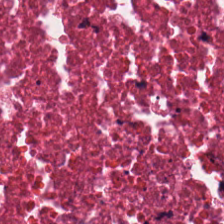Q: What is shown here?
A: This is necrotic debris.
